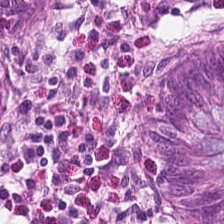FFPE · H&E stain.
Finding — benign colonic mucosa.
